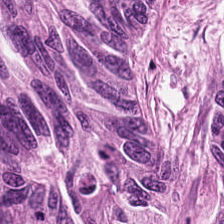Hematoxylin-and-eosin stained section · 224×224 pixel tile — This patch shows colorectal adenocarcinoma.
